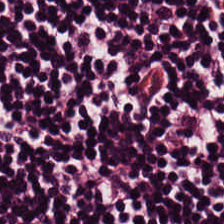Hematoxylin and eosin · FFPE tissue section · brightfield — Finding — lymphocytic infiltrate.
